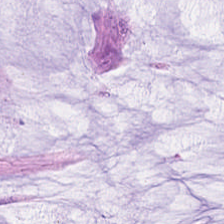Hematoxylin and eosin.
Classification — mucus.
